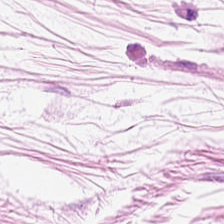Tissue type = adipocytes.
